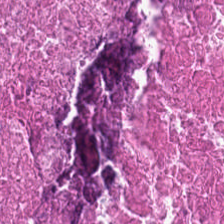{"tissue_type": "necrotic debris"}
